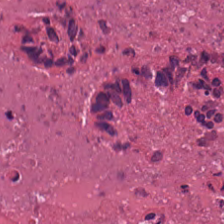224×224 px tile · hematoxylin-and-eosin stained section · 0.5 µm/px.
Showing cellular debris.
